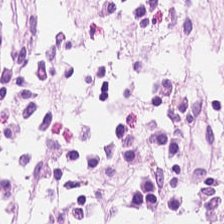WSI patch · H&E stain. The tissue here is normal colon mucosa.
